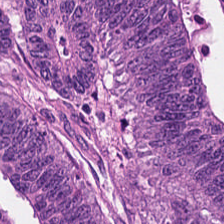H&E-stained tissue section showing colorectal adenocarcinoma epithelium.
